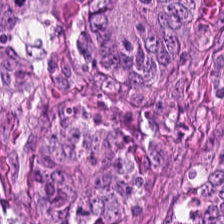Predominant tissue: colorectal adenocarcinoma.
